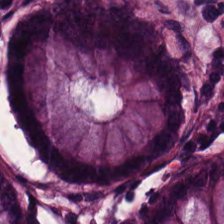Showing normal colonic mucosa.
